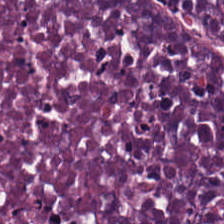Hematoxylin-and-eosin stained section.
Predominantly necrotic debris.
